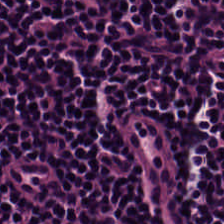H&E stain. Impression → lymphoid infiltrate.
